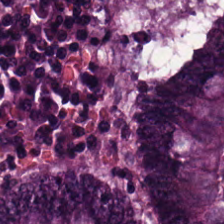Classification = malignant epithelium.
